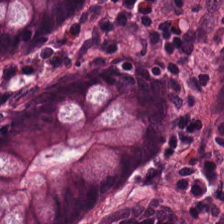FFPE. H&E.
The tissue class is normal colon mucosa.
